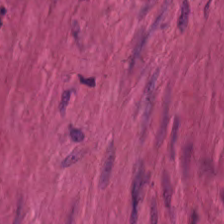H&E; 224×224 px tile. The tissue is smooth muscle.
